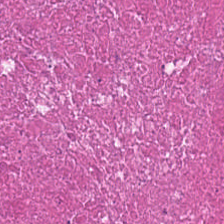Brightfield; 0.5 µm/px; H&E-stained tissue section — Tissue class: debris.
